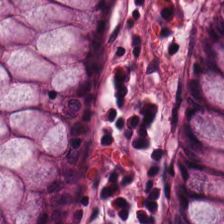The tissue here is normal colon mucosa.
